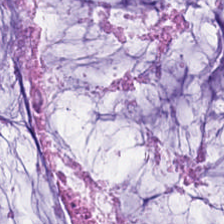Impression → mucin.
